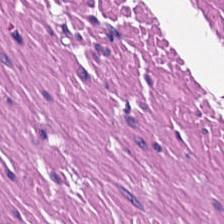Stain: H&E.
Tissue: smooth-muscle tissue.
